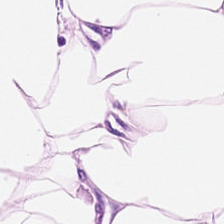H&E.
Q: Identify the tissue.
A: This is fat tissue.
